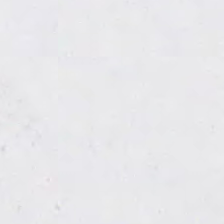H&E-stained tissue section; FFPE. This field is background (no tissue).
